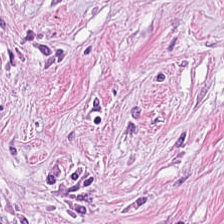Hematoxylin and eosin — The predominant tissue is cancer-associated stroma.
